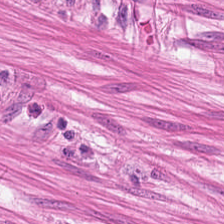Tissue type: smooth-muscle tissue.
